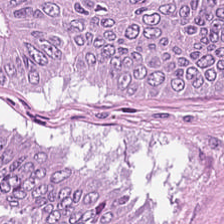Brightfield microscopy; H&E-stained tissue section — This patch shows malignant epithelium.
